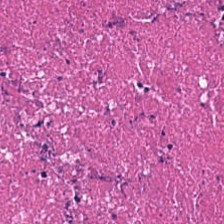H&E-stained tissue section — Debris.
